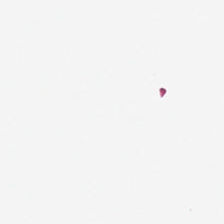Field content: background.
